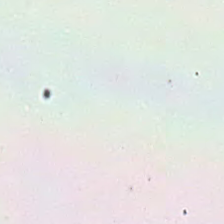0.5 µm/px · H&E stain. Empty field — background.
